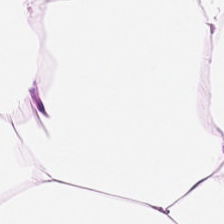Hematoxylin and eosin · brightfield — Fat tissue.
